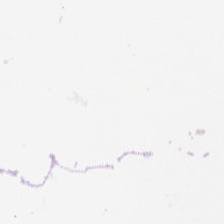FFPE. H&E. 0.5 µm/px — This field is background (no tissue).
